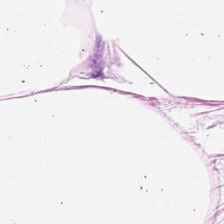H&E — Impression — adipose tissue.
